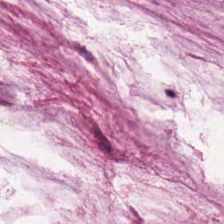224×224 px patch; hematoxylin-and-eosin stained section — {"tissue_type": "mucin"}
